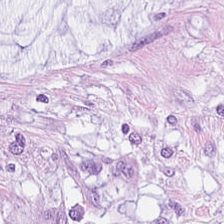H&E stain.
Mucus.
